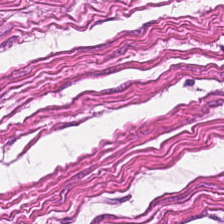Hematoxylin and eosin; 0.5 µm per pixel.
The tissue is smooth muscle.
